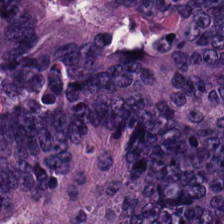Formalin-fixed paraffin-embedded section; H&E — Q: What is shown here?
A: This is malignant epithelium.
